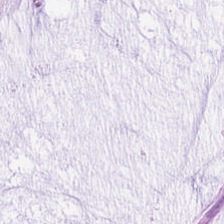Hematoxylin-and-eosin stained section — Classification = mucus.
